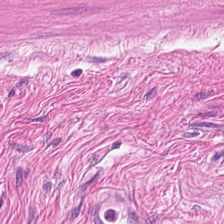H&E stain. FFPE tissue section. Histology — muscularis.
